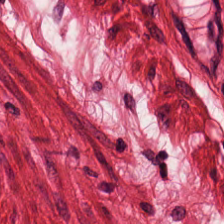H&E — {"tissue_type": "muscularis"}
